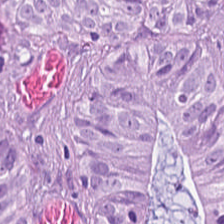224×224 px tile. Hematoxylin and eosin. Whole-slide-image patch.
Q: What tissue type is shown here?
A: This is tumor epithelium.
